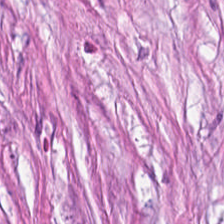H&E. Q: What type of tissue is this?
A: Cancer-associated stroma.
